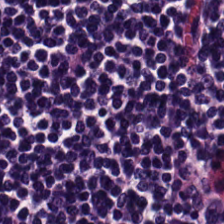Hematoxylin-and-eosin stained section.
Predominantly lymphocyte aggregate.
